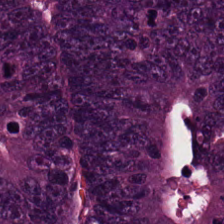Hematoxylin and eosin; 224×224 px tile; FFPE.
Q: Identify the tissue.
A: The field shows malignant epithelium.
